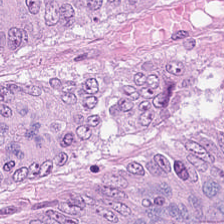Brightfield; H&E stain.
The tissue type is malignant epithelium.
